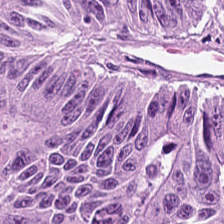Formalin-fixed paraffin-embedded section. H&E-stained tissue section. Q: What tissue type is shown here?
A: The field shows malignant epithelium.
